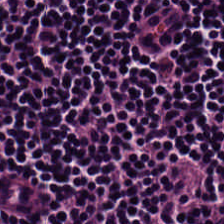The tissue is lymphocyte aggregate.
